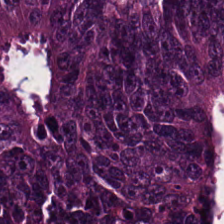Stain: hematoxylin and eosin.
Tissue: adenocarcinoma.
